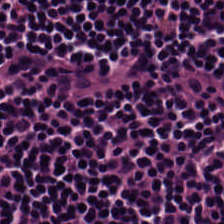H&E stain · 224×224 pixel tile. Impression — lymphocytes.
